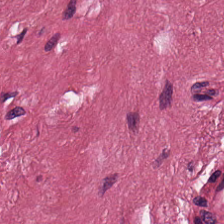H&E stain; FFPE — Showing cancer-associated stroma.
